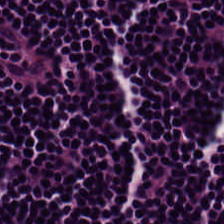H&E-stained tissue section · 224×224 px tile. Q: Identify the tissue.
A: The field shows lymphocytic infiltrate.
